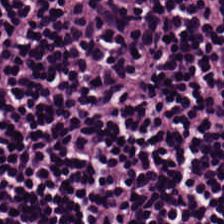Stain: hematoxylin-and-eosin stained section.
Tissue type: lymphoid infiltrate.
